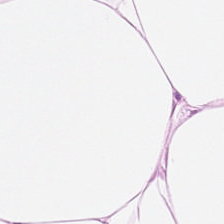H&E-stained tissue section. 224×224 pixel tile. 0.5 microns per pixel.
This patch shows adipose.
